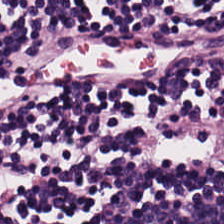Hematoxylin and eosin.
Impression — lymphocytic infiltrate.
